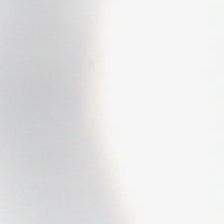H&E stain. The classification is background.
